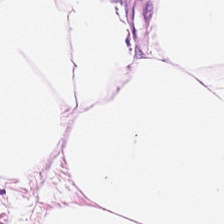224×224 px patch. 20× equivalent magnification. H&E stain. Impression — adipocytes.
